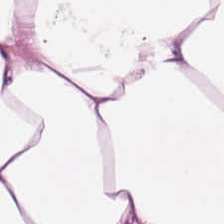Hematoxylin and eosin · 0.5 µm per pixel.
Fat tissue.
